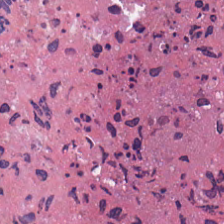Whole-slide-image patch; hematoxylin and eosin; FFPE. The predominant tissue is cellular debris.
